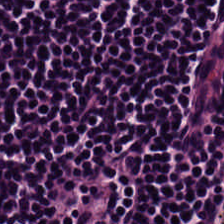Hematoxylin-and-eosin stained section · 224×224 px tile · brightfield.
Histology → lymphocyte aggregate.
